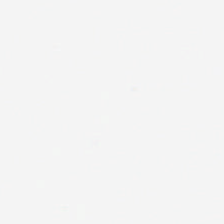0.5 microns per pixel; WSI patch; H&E.
Q: Classify this patch.
A: Background.
